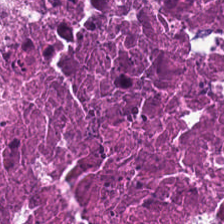FFPE tissue section · H&E-stained tissue section · 224×224 px tile. The tissue type is necrotic debris.
